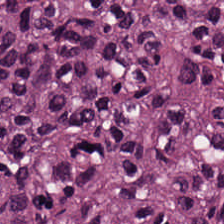WSI patch; H&E. Q: Identify the tissue.
A: The field shows colorectal adenocarcinoma.
